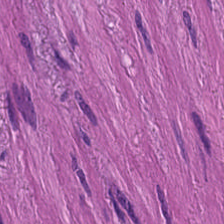FFPE · hematoxylin-and-eosin stained section · 20× equivalent magnification. Histology → smooth muscle.
